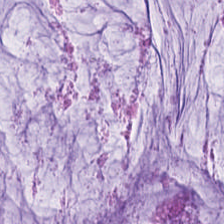Hematoxylin-and-eosin stained section. Predominantly mucin.
